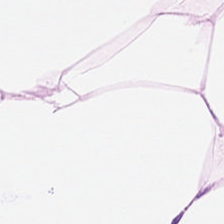224×224 px tile · H&E.
Showing adipose tissue.
